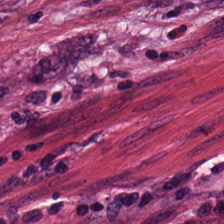FFPE tissue section · hematoxylin and eosin — Q: What is the predominant tissue type?
A: It is tumor-associated stroma.
